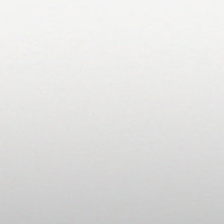Hematoxylin and eosin — This field is background (no tissue).
